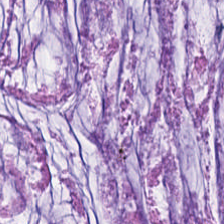Hematoxylin-and-eosin stained section. Mucus.
